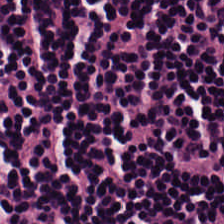H&E stain — Classification — lymphocyte aggregate.
